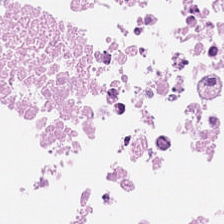H&E stain. WSI patch. This patch shows cellular debris.
